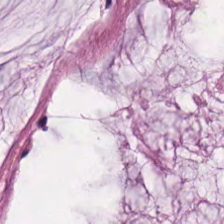Hematoxylin and eosin · 0.5 µm per pixel.
This field is mucus.
